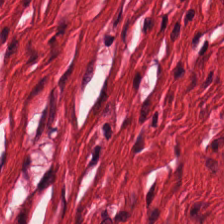H&E-stained tissue section — Q: What does this patch show?
A: Smooth muscle.
